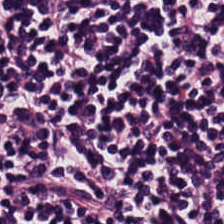H&E stain. 0.5 microns per pixel — Predominant tissue = lymphocyte aggregate.
